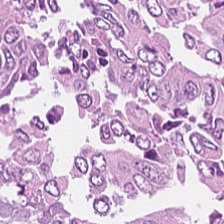FFPE · hematoxylin-and-eosin stained section · 20× equivalent magnification. Showing tumor epithelium.
